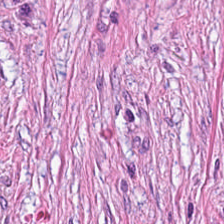Q: What tissue is shown?
A: The field shows tumor stroma.
